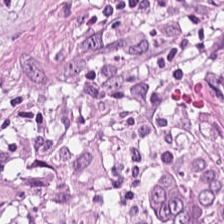H&E stain. Q: What does this patch show?
A: This is tumor-associated stroma.
